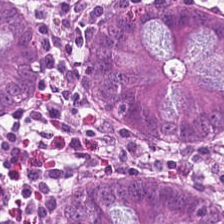Q: What type of tissue is this?
A: This is non-neoplastic colon mucosa.
